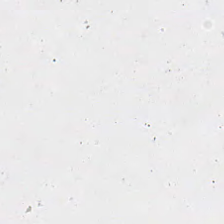H&E · WSI patch · 224×224 px tile — Background.
